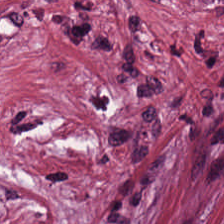H&E — Q: What type of tissue is this?
A: This is tumor stroma.
